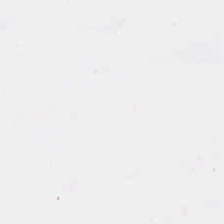Empty field — no tissue.
